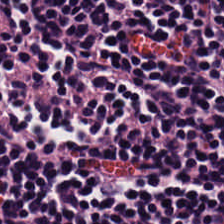Finding → lymphocytes.
